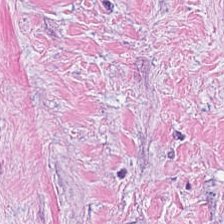Hematoxylin and eosin — Predominantly tumor stroma.
